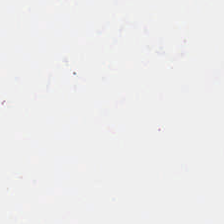Brightfield; H&E-stained tissue section. The classification is empty background.
